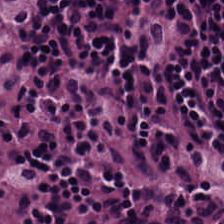Hematoxylin-and-eosin stained section.
The tissue is lymphocytes.
